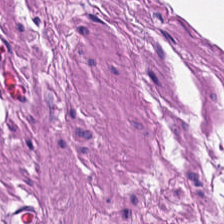H&E-stained tissue section. 0.5 µm per pixel. Brightfield — Tissue type: muscularis.
